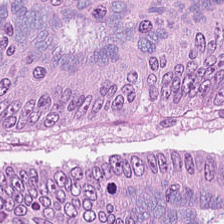H&E stain; brightfield; 224×224 px tile — Predominant tissue — colorectal adenocarcinoma.
